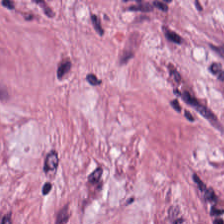Stain: H&E-stained tissue section.
Tissue class: cancer-associated stroma.
